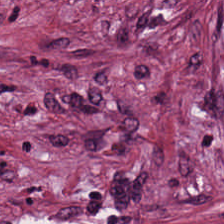Tissue type: desmoplastic stroma.
